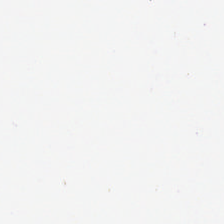Content: background (no tissue).
